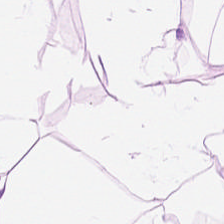H&E stain; 0.5 µm/px.
Tissue: adipose tissue.
